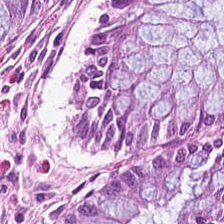224×224 pixel tile · H&E-stained tissue section. The predominant tissue is non-neoplastic colon mucosa.
